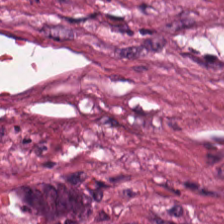224×224 pixel tile · hematoxylin-and-eosin stained section. {"tissue_type": "debris"}
